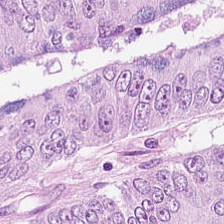Predominantly adenocarcinoma.
